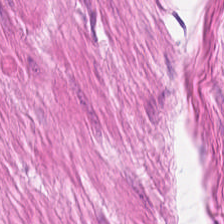Stain: H&E-stained tissue section.
Classification: smooth muscle.
